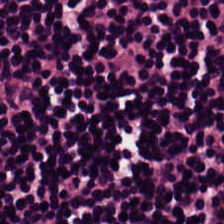Tissue: lymphocyte aggregate.
